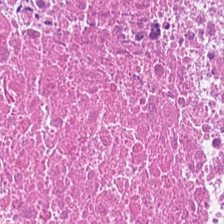H&E stain — Predominant tissue = cellular debris.
